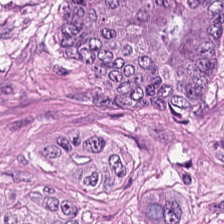Hematoxylin and eosin. {"tissue_type": "colorectal adenocarcinoma"}
